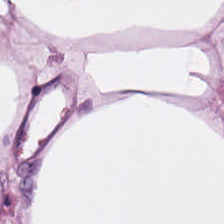Hematoxylin and eosin.
Predominant tissue = adipose.
